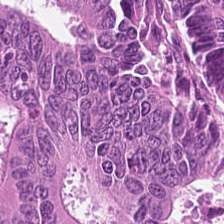Formalin-fixed paraffin-embedded section; hematoxylin-and-eosin stained section; 224×224 px tile.
Classification: malignant epithelium.
